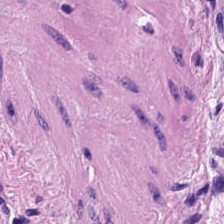H&E.
Smooth muscle.
